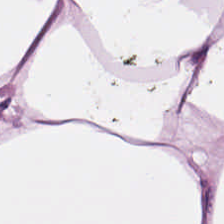Q: What does this patch show?
A: It is adipose.
